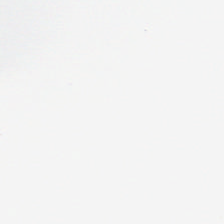224×224 px tile. Hematoxylin and eosin. 0.5 µm/px — The field content is background (no tissue).
